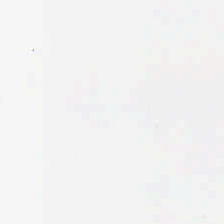Q: What is shown in this field?
A: It is background (no tissue).
